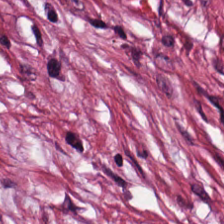H&E stain; FFPE — This field is tumor stroma.
